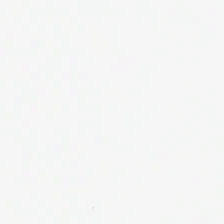FFPE tissue section; H&E stain. Field content — background.
